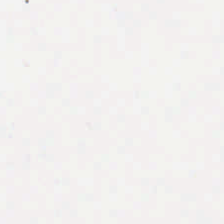H&E — Background — no tissue in this field.
